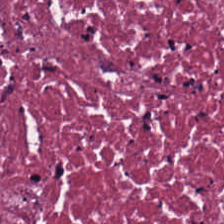H&E. Tissue type — cellular debris.
